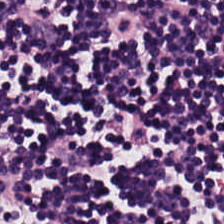Brightfield microscopy; H&E-stained tissue section — {"tissue_type": "lymphoid infiltrate"}
